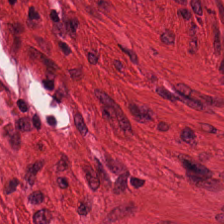H&E — This field is smooth muscle.
